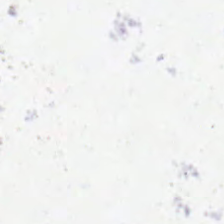Hematoxylin-and-eosin stained section. Q: What is shown here?
A: This is no tissue.
